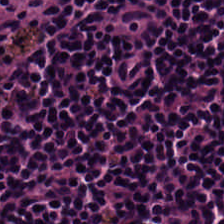Hematoxylin-and-eosin stained section · 0.5 microns per pixel. Q: Identify the tissue.
A: This is lymphocyte aggregate.
